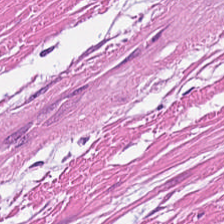WSI patch · H&E stain.
This field is smooth muscle.
